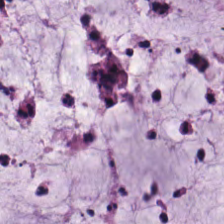Stain: hematoxylin and eosin.
Tissue class: extracellular mucin.
